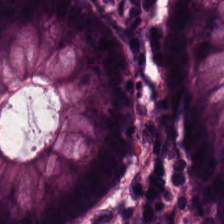Hematoxylin-and-eosin section: normal colon mucosa.
